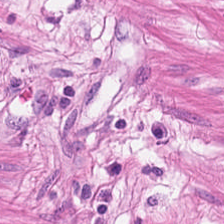WSI patch · H&E stain · 224×224 pixel tile. Predominant tissue: smooth-muscle tissue.
